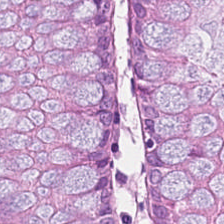Formalin-fixed paraffin-embedded section. Hematoxylin and eosin. 0.5 µm per pixel.
This field is benign colonic mucosa.
